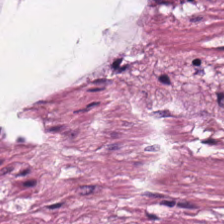Hematoxylin and eosin — Tissue type = mucin.
